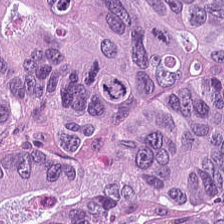H&E.
Classification: colorectal adenocarcinoma.
